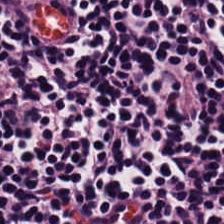Hematoxylin and eosin — Tissue class = lymphocytic infiltrate.
